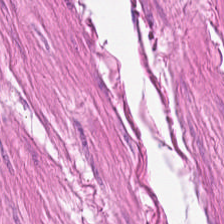WSI patch; H&E.
Classification = smooth-muscle tissue.
